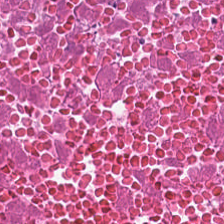224×224 px tile · H&E — Tissue class = cellular debris.
